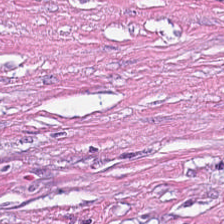H&E-stained tissue section. Showing tumor-associated stroma.
